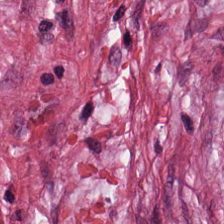224×224 px patch · hematoxylin-and-eosin stained section. Classification = cancer-associated stroma.
